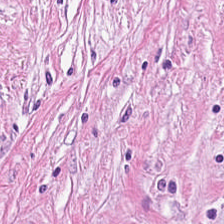Hematoxylin-and-eosin stained section; 0.5 µm/px; FFPE tissue section. Q: Classify this patch.
A: Cancer-associated stroma.
